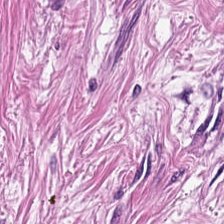H&E-stained tissue section; FFPE. Tissue class — tumor-associated stroma.
